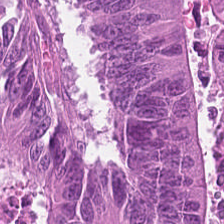224×224 px tile · hematoxylin and eosin.
Colorectal adenocarcinoma.
